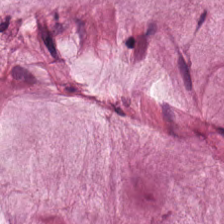Formalin-fixed paraffin-embedded section. H&E.
Predominant tissue: mucus.
